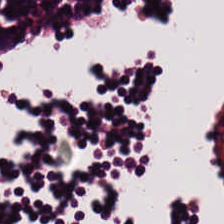Hematoxylin and eosin · FFPE — Lymphocytic infiltrate.
